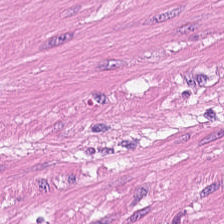H&E.
Classification: smooth-muscle tissue.
